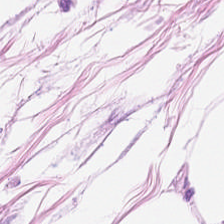Hematoxylin-and-eosin stained section — Impression — fat tissue.
